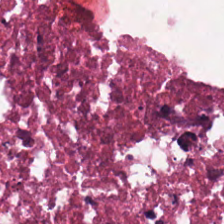H&E-stained tissue section. {"tissue_type": "cellular debris"}
